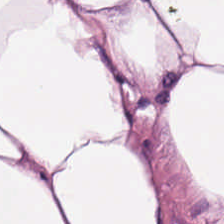FFPE tissue section; H&E; 20× equivalent magnification.
The tissue is fat tissue.
